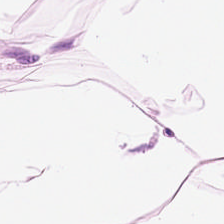Histology — adipose tissue.
